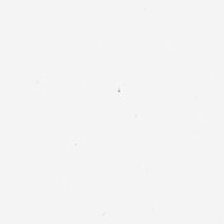H&E stain. Content — no tissue.
